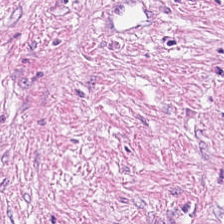0.5 microns per pixel; hematoxylin and eosin — Tissue type — cancer-associated stroma.
